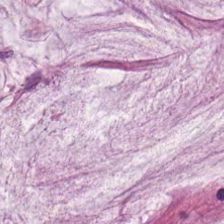H&E-stained tissue section; 224×224 pixel tile.
Q: What does this patch show?
A: It is mucus.
